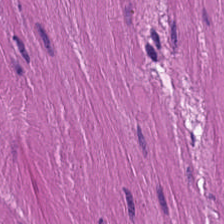Stain: H&E stain.
Classification: smooth muscle.
